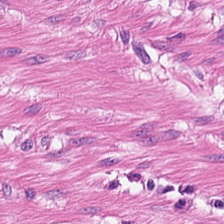0.5 µm per pixel · H&E stain — This patch shows smooth-muscle tissue.
